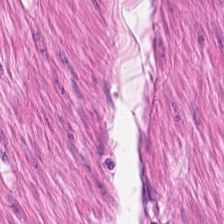Stain: hematoxylin-and-eosin stained section.
Preparation: FFPE.
Tissue type: smooth muscle.
